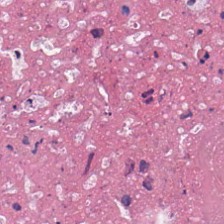Hematoxylin-and-eosin stained section · 224×224 pixel tile · 0.5 µm per pixel. Finding → necrotic debris.
